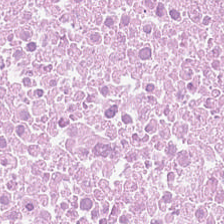224×224 px tile. Formalin-fixed paraffin-embedded section. H&E-stained tissue section — Histology → necrotic debris.
